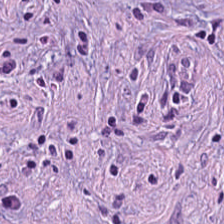H&E stain. Showing tumor-associated stroma.
